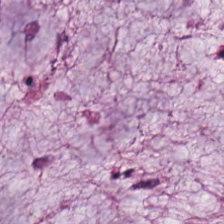H&E-stained tissue section — Q: What type of tissue is this?
A: Mucus.
